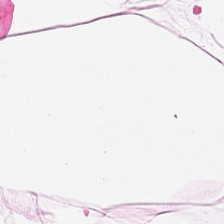Hematoxylin and eosin.
Q: What is shown in this field?
A: This is adipose tissue.
